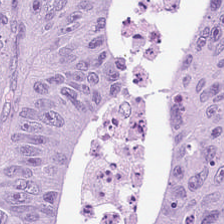Brightfield · 0.5 µm per pixel · H&E stain — Q: What does this patch show?
A: Colorectal adenocarcinoma epithelium.
